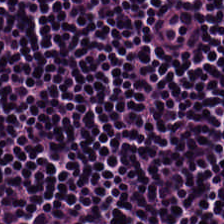H&E.
Tissue: lymphocyte aggregate.
